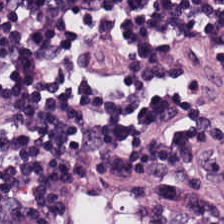Tissue class = lymphoid infiltrate.
